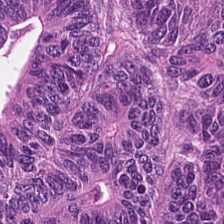Hematoxylin-and-eosin stained section.
Finding — adenocarcinoma.
